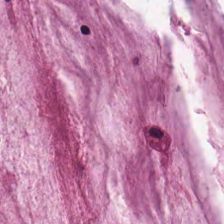Q: What is shown here?
A: The field shows mucus.
